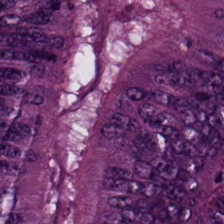Tissue class — tumor epithelium.
